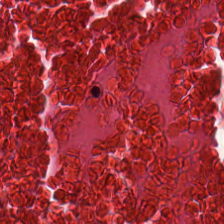{"tissue_type": "necrotic debris"}
